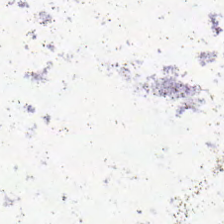Hematoxylin and eosin — This patch shows empty background.
